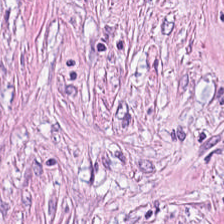H&E stain.
The predominant tissue is cancer-associated stroma.
